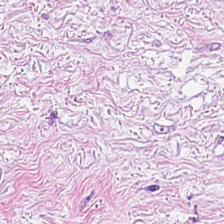Tissue: tumor stroma.
